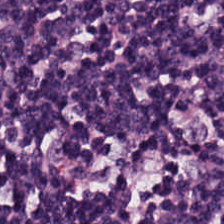H&E stain. {"tissue_type": "lymphoid infiltrate"}
